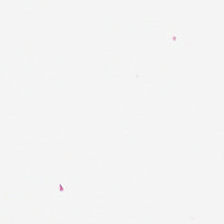Stain: H&E-stained tissue section.
Classification: empty background.
